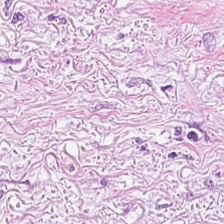0.5 µm/px; hematoxylin and eosin — Classification = desmoplastic stroma.
